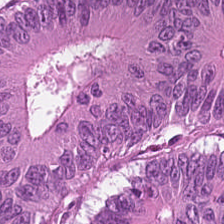The tissue class is colorectal adenocarcinoma epithelium.
